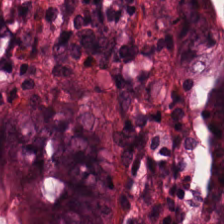H&E.
The predominant tissue is normal colon mucosa.
